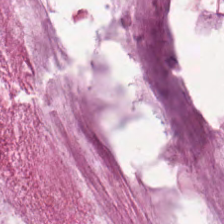H&E-stained tissue section.
Q: What is shown here?
A: This is extracellular mucin.
